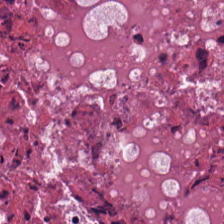Brightfield; hematoxylin-and-eosin stained section; 20× equivalent magnification — This field is debris.
